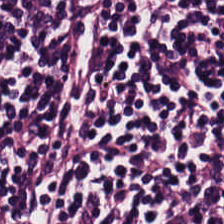The predominant tissue is lymphocytes.
